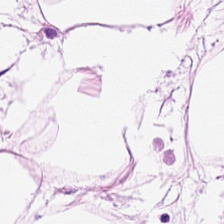H&E-stained tissue section; 0.5 microns per pixel; whole-slide-image patch.
This field is fat tissue.
